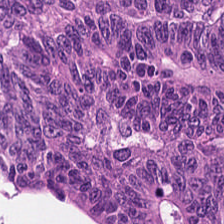Brightfield microscopy; hematoxylin-and-eosin stained section — Finding → adenocarcinoma.
